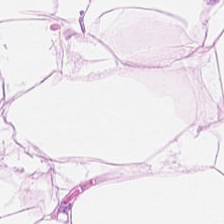Brightfield microscopy. Hematoxylin and eosin. The predominant tissue is adipocytes.
